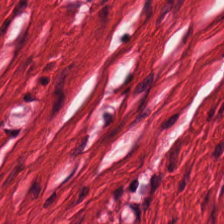{"tissue_type": "muscularis"}
